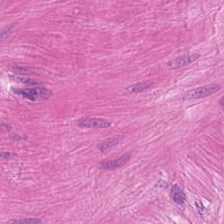Hematoxylin and eosin.
Tissue class = smooth-muscle tissue.
